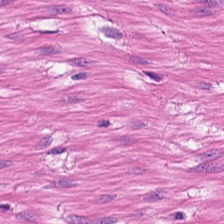The tissue here is muscularis.
